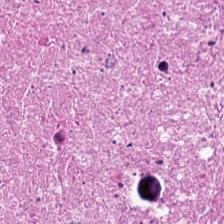H&E — This patch shows debris.
